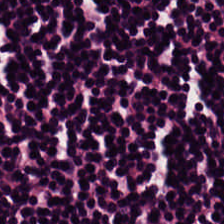224×224 pixel tile · hematoxylin-and-eosin stained section — Q: What is shown here?
A: It is lymphocyte aggregate.
